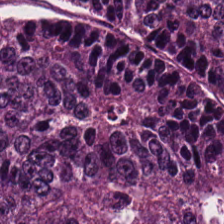H&E-stained tissue section; 20× equivalent magnification. Q: What tissue is shown?
A: It is colorectal adenocarcinoma.
